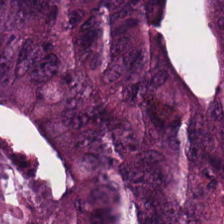20× equivalent magnification; H&E-stained tissue section. Impression — malignant epithelium.
